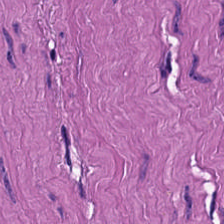Brightfield · hematoxylin-and-eosin stained section — This patch shows muscularis.
